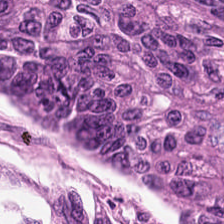Hematoxylin-and-eosin stained section; whole-slide-image patch — Predominant tissue — colorectal adenocarcinoma.
